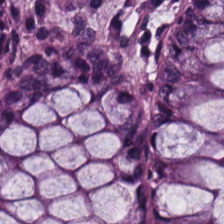H&E stain.
Q: What is shown here?
A: Normal colon mucosa.
